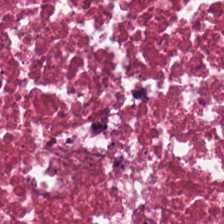Brightfield microscopy · hematoxylin-and-eosin stained section. Tissue class — cellular debris.
